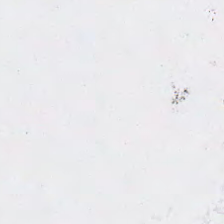H&E. Empty field — background (no tissue).
